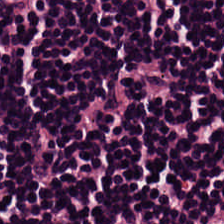FFPE tissue section · hematoxylin and eosin — Q: What type of tissue is this?
A: It is lymphocytic infiltrate.
